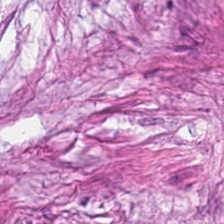The tissue here is desmoplastic stroma.
